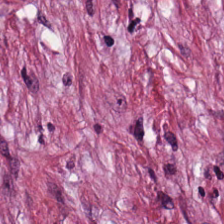This field is tumor-associated stroma.
